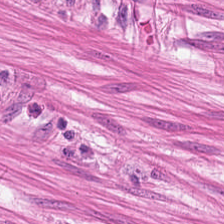Hematoxylin-and-eosin stained section — Q: What is shown here?
A: Smooth muscle.
